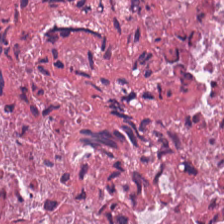Hematoxylin and eosin.
This field is necrotic debris.
